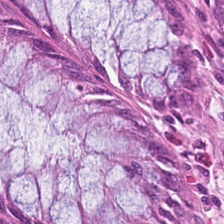H&E-stained tissue section.
Tissue class = non-neoplastic colon mucosa.
